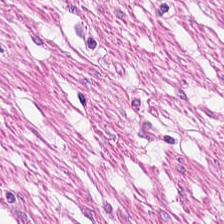H&E-stained section; the field shows smooth-muscle tissue.
